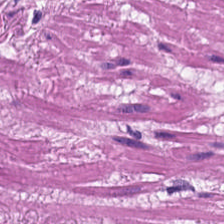Finding — smooth muscle.
